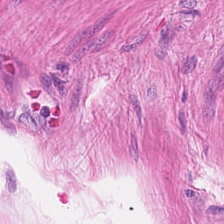The tissue is smooth muscle.
